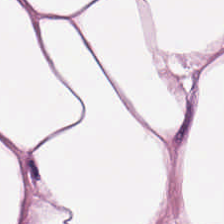H&E-stained tissue section. Predominantly adipose.
